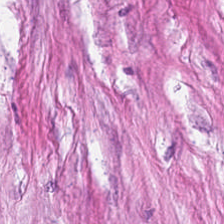FFPE. 0.5 µm per pixel. H&E stain.
Tumor stroma.
